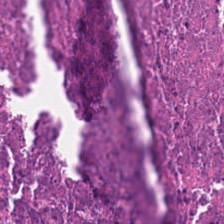Stain: H&E.
Resolution: 0.5 microns per pixel.
Tissue type: debris.
